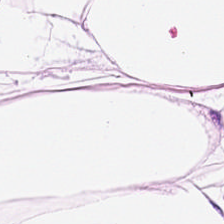0.5 µm per pixel · H&E-stained tissue section · whole-slide-image patch. {"tissue_type": "adipocytes"}
